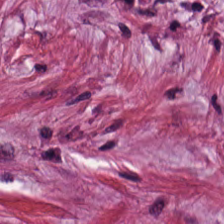H&E-stained tissue section.
Q: Identify the tissue.
A: This is cancer-associated stroma.
